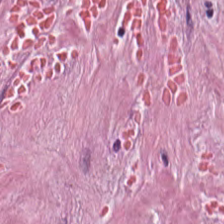Stain: hematoxylin-and-eosin stained section.
Preparation: FFPE.
Resolution: 0.5 µm/px.
Tissue: tumor-associated stroma.
